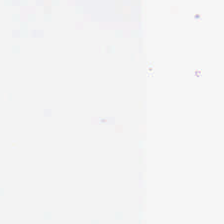20× equivalent magnification; hematoxylin-and-eosin stained section.
Q: What does this patch show?
A: The field shows background (no tissue).
